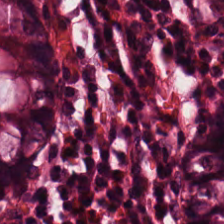224×224 px tile; H&E — Tissue = normal colon mucosa.
